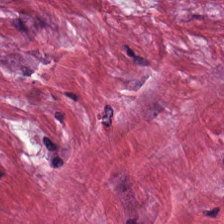Stain: H&E-stained tissue section.
Predominant tissue: tumor stroma.
